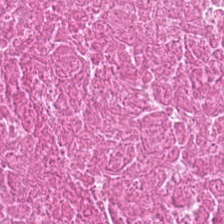Hematoxylin and eosin.
Q: Classify this patch.
A: Necrotic debris.
